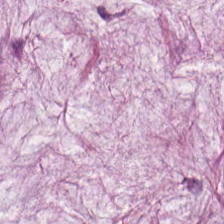0.5 microns per pixel. 224×224 px tile. Hematoxylin and eosin — Tissue — mucin.
